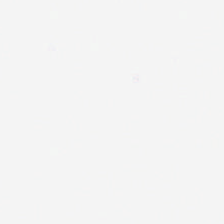H&E stain; 0.5 µm per pixel.
The content is no tissue.
